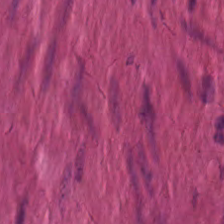Predominant tissue — smooth muscle.
